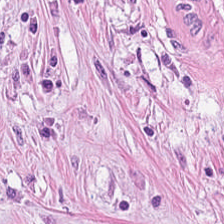Q: What is shown here?
A: It is cancer-associated stroma.
